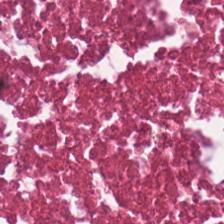224×224 px patch; H&E-stained tissue section.
Predominantly necrotic debris.
